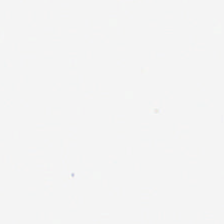Stain: H&E.
Resolution: 0.5 microns per pixel.
Classification: no tissue.
